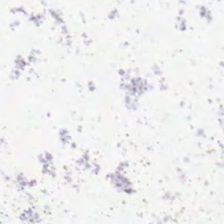H&E-stained tissue section. Field content = background (no tissue).
